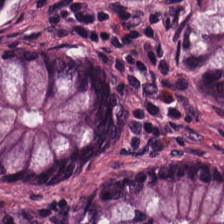H&E — normal colon mucosa.
